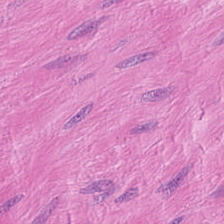Showing muscularis.
